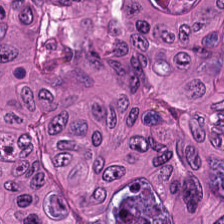Q: What does this patch show?
A: This is colorectal adenocarcinoma.
